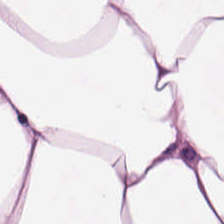Hematoxylin-and-eosin stained section · 0.5 microns per pixel · 224×224 px patch.
Tissue class: adipose tissue.
